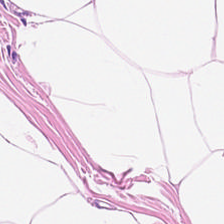0.5 microns per pixel. H&E-stained tissue section — Tissue: fat tissue.
